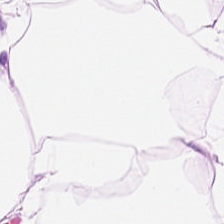H&E. Adipose tissue.
